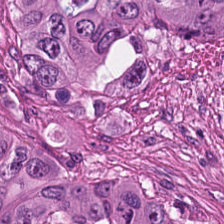H&E-stained tissue section; 224×224 px tile; WSI patch.
Predominant tissue — adenocarcinoma.
